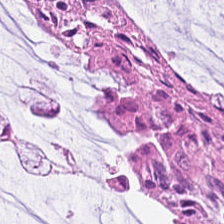Stain: H&E.
Acquisition: whole-slide-image patch.
Tissue: benign colonic mucosa.
